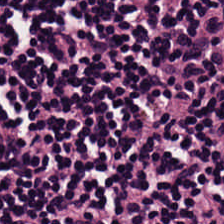Hematoxylin-and-eosin stained section — Q: What tissue type is shown here?
A: This is lymphocytes.
